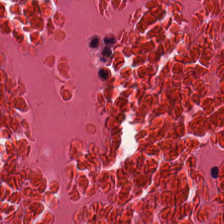0.5 µm/px. 224×224 px patch. Hematoxylin-and-eosin stained section.
The tissue here is cellular debris.
